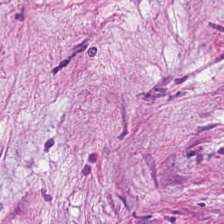H&E stain · 224×224 pixel tile — Showing cancer-associated stroma.
